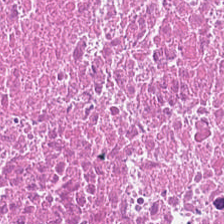FFPE tissue section · H&E-stained tissue section. The predominant tissue is cellular debris.
